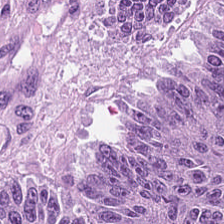Hematoxylin and eosin. 0.5 µm per pixel. {"tissue_type": "colorectal adenocarcinoma"}
